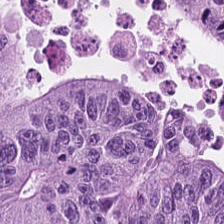Tissue: adenocarcinoma.
